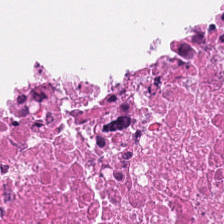0.5 µm/px. Hematoxylin-and-eosin stained section. Predominantly debris.
